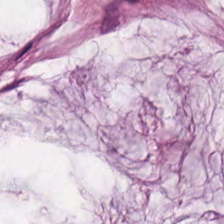Stain: H&E.
Resolution: 0.5 µm/px.
Preparation: FFPE.
Tissue type: extracellular mucin.
